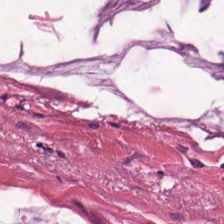Brightfield microscopy; H&E-stained tissue section; FFPE tissue section. Showing extracellular mucin.
